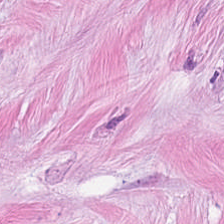Q: What does this patch show?
A: It is tumor-associated stroma.
